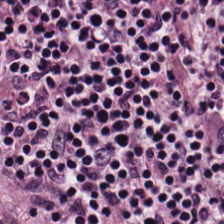224×224 px patch; formalin-fixed paraffin-embedded section; H&E-stained tissue section.
Predominant tissue — lymphocyte aggregate.
